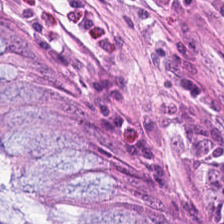Tissue = non-neoplastic colon mucosa.
